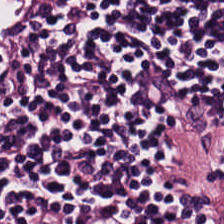This field is lymphocytes.
